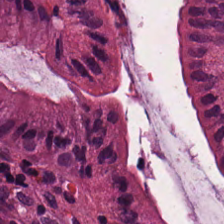Hematoxylin and eosin.
{"tissue_type": "normal colonic mucosa"}
